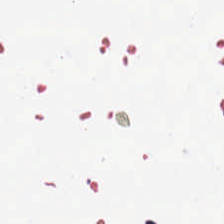Empty field — background.
